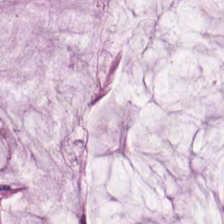H&E — The predominant tissue is mucus.
